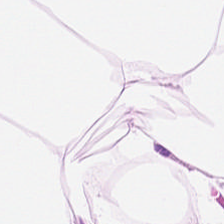Hematoxylin-and-eosin stained section.
The tissue here is adipose.
